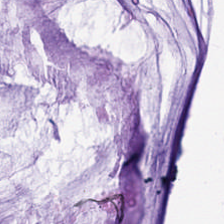Stain: H&E.
Acquisition: whole-slide-image patch.
Classification: extracellular mucin.
